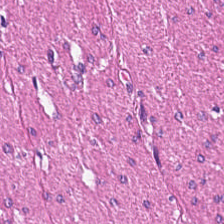Impression — smooth-muscle tissue.
